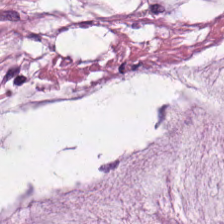H&E stain.
This field is mucin.
